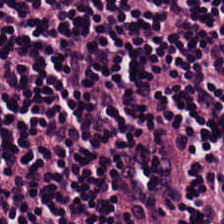H&E stain — The tissue here is lymphoid infiltrate.
